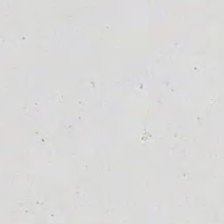H&E.
Background — no tissue in this field.
